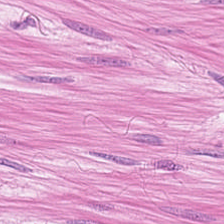H&E · 0.5 microns per pixel. Impression → smooth muscle.
